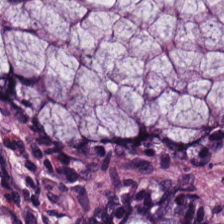Stain: H&E stain.
Acquisition: whole-slide-image patch.
Resolution: 20× equivalent magnification.
Tissue class: normal colon mucosa.
